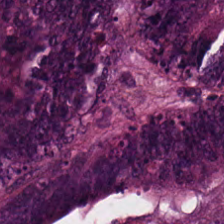H&E stain.
Predominantly adenocarcinoma.
